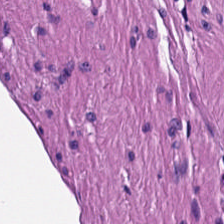H&E stain — Histology → muscularis.
